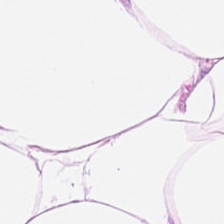H&E — The predominant tissue is adipose.
